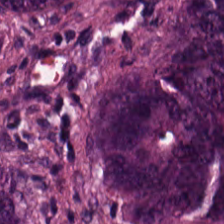Finding → tumor epithelium.
